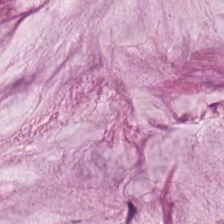H&E; brightfield microscopy.
Predominant tissue = extracellular mucin.
